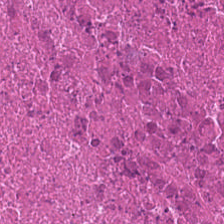{"tissue_type": "necrotic debris"}
